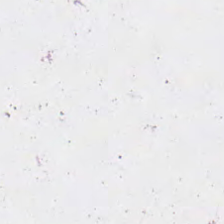H&E stain.
{"content": "background"}
